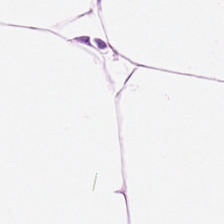Hematoxylin-and-eosin stained section.
The predominant tissue is adipose.
